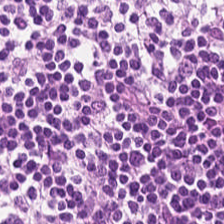H&E-stained tissue section.
Tissue class = lymphocyte aggregate.
